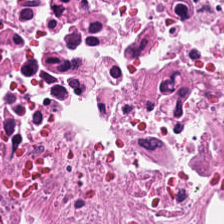224×224 px patch. H&E-stained tissue section. 20× equivalent magnification — Tissue class = necrotic debris.
